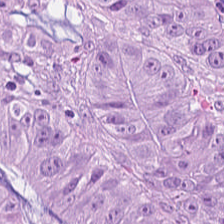0.5 µm/px · hematoxylin-and-eosin stained section · brightfield — Colorectal adenocarcinoma epithelium.
